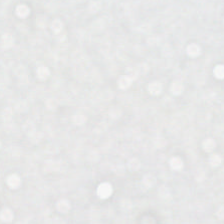H&E stain.
This field is background (no tissue).
